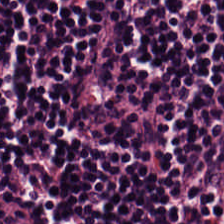This patch shows lymphocytes.
